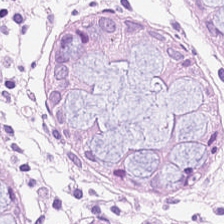H&E-stained tissue section — Q: What tissue is shown?
A: Non-neoplastic colon mucosa.
